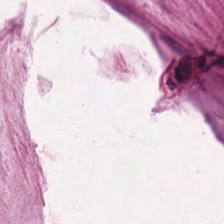Tissue = mucus.
